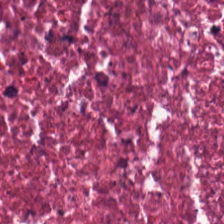Q: What type of tissue is this?
A: It is debris.
